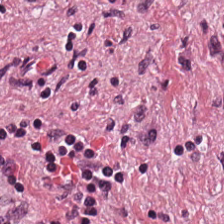Hematoxylin and eosin · FFPE.
Tissue: tumor stroma.
